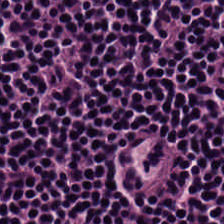Stain: H&E stain.
Resolution: 0.5 µm per pixel.
Classification: lymphocytes.
